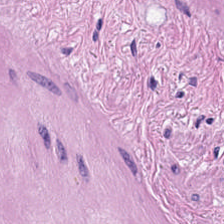Hematoxylin and eosin. This field is smooth-muscle tissue.
